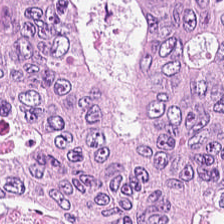Hematoxylin and eosin.
The predominant tissue is colorectal adenocarcinoma epithelium.
